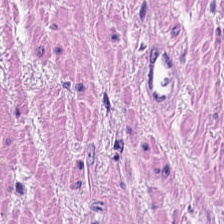Stain: hematoxylin-and-eosin stained section.
Tissue type: muscularis.
